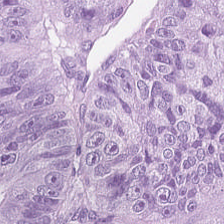H&E stain. The tissue type is adenocarcinoma.
